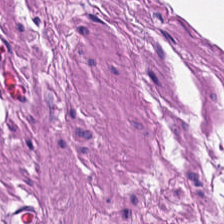Hematoxylin-and-eosin stained section. 0.5 µm/px. Whole-slide-image patch.
Classification: smooth muscle.
